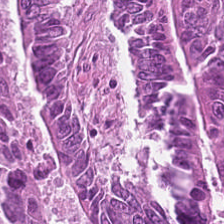H&E-stained tissue section. 224×224 px patch. 0.5 µm per pixel — Showing colorectal adenocarcinoma epithelium.
